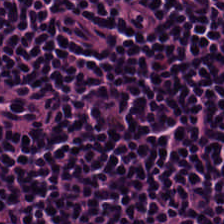This field is lymphocyte aggregate.
